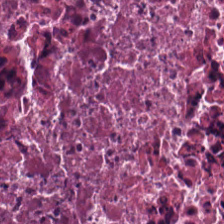H&E stain; whole-slide-image patch; FFPE tissue section. Q: What is the predominant tissue type?
A: This is debris.
